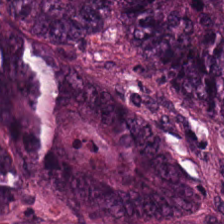H&E-stained tissue section. 20× equivalent magnification — Showing colorectal adenocarcinoma epithelium.
